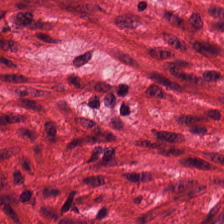Stain: hematoxylin-and-eosin stained section.
Tile size: 224×224 px patch.
Tissue: muscularis.
